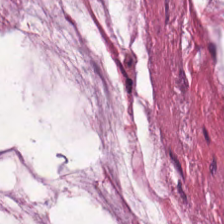Hematoxylin-and-eosin stained section. {"tissue_type": "extracellular mucin"}
